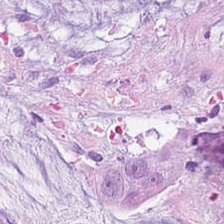Stain: hematoxylin and eosin.
Acquisition: brightfield microscopy.
Tile size: 224×224 px tile.
Classification: extracellular mucin.
